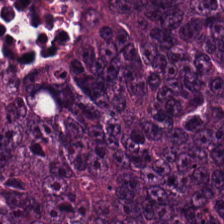Stain: hematoxylin-and-eosin stained section.
Tissue: colorectal adenocarcinoma epithelium.
